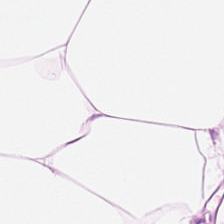H&E. Q: What tissue is shown?
A: It is adipocytes.
